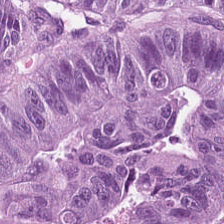FFPE; hematoxylin-and-eosin stained section. {"tissue_type": "colorectal adenocarcinoma epithelium"}
